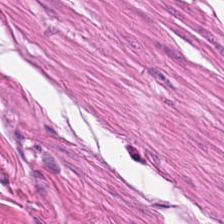H&E-stained tissue section. Predominantly smooth-muscle tissue.
